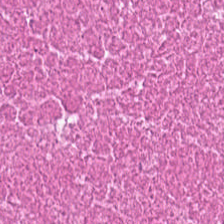Predominantly cellular debris.
